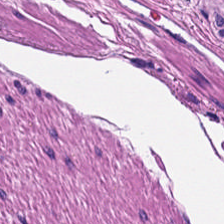This field is smooth-muscle tissue.
